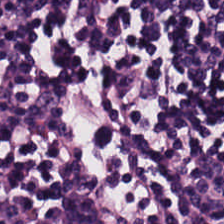Hematoxylin-and-eosin stained section. Whole-slide-image patch. Q: What is the predominant tissue type?
A: The field shows lymphocytic infiltrate.
